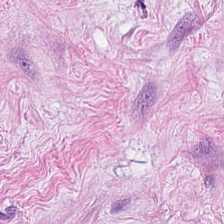Predominantly desmoplastic stroma.
